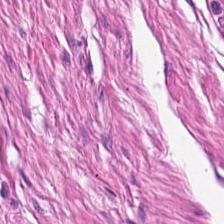H&E.
Q: What tissue type is shown here?
A: The field shows muscularis.
